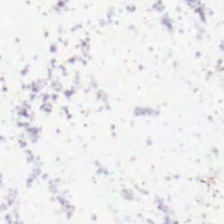Hematoxylin-and-eosin stained section. Q: Classify this patch.
A: The field shows background.
